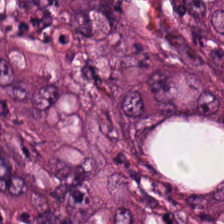FFPE tissue section; H&E stain. Q: What tissue type is shown here?
A: It is colorectal adenocarcinoma epithelium.
